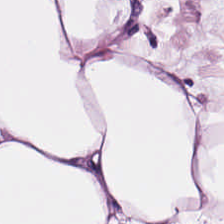Hematoxylin-and-eosin stained section; formalin-fixed paraffin-embedded section — Q: What tissue is shown?
A: This is adipocytes.
